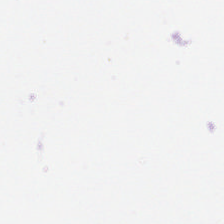H&E-stained tissue section. This field is background (no tissue).
